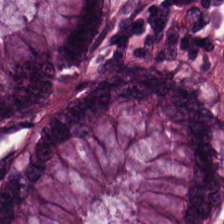H&E.
Histology — non-neoplastic colon mucosa.
